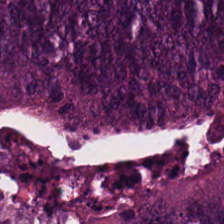Hematoxylin and eosin. The tissue here is colorectal adenocarcinoma.
